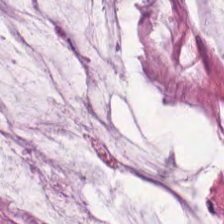{"tissue_type": "mucin"}
